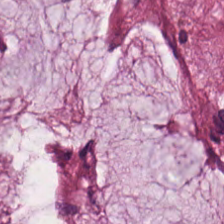H&E stain.
The tissue here is mucin.
